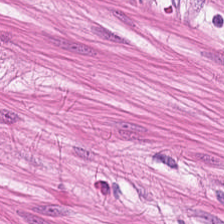H&E-stained tissue section · FFPE. This field is smooth muscle.
